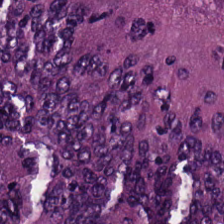This field is colorectal adenocarcinoma.
